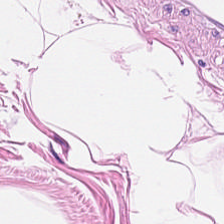0.5 microns per pixel; H&E-stained tissue section. Q: What is shown in this field?
A: It is adipose.
